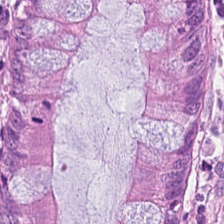Stain: hematoxylin and eosin.
Tissue type: non-neoplastic colon mucosa.
